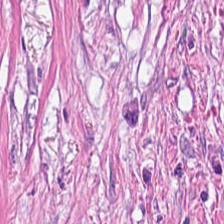FFPE; H&E stain.
Finding → cancer-associated stroma.
